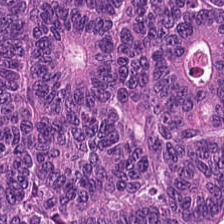224×224 px tile; hematoxylin and eosin — Q: What is the predominant tissue type?
A: The field shows colorectal adenocarcinoma.
